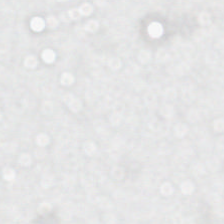Stain: H&E stain.
Content: empty background.
